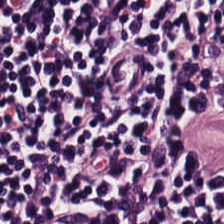Q: What tissue is shown?
A: It is lymphocytes.
